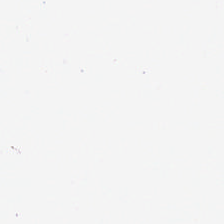No tissue present; background only.
